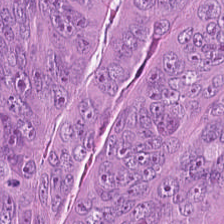H&E · brightfield — This field is malignant epithelium.
